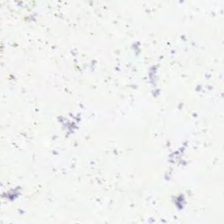WSI patch; H&E-stained tissue section — Background — no tissue in this field.
